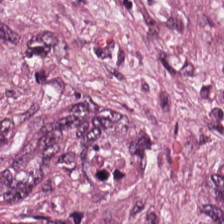Hematoxylin and eosin. 224×224 px tile. The classification is malignant epithelium.
